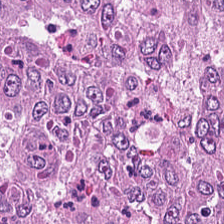224×224 px patch · FFPE · hematoxylin and eosin. The predominant tissue is colorectal adenocarcinoma.
